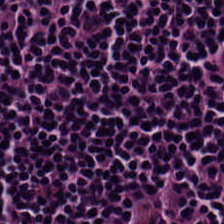Hematoxylin and eosin — The predominant tissue is lymphocytic infiltrate.
